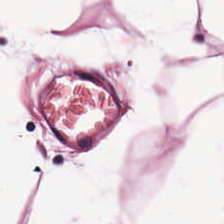H&E-stained tissue section; 0.5 µm/px — The predominant tissue is adipose.
